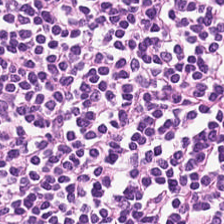H&E-stained tissue section.
The predominant tissue is lymphocytes.
